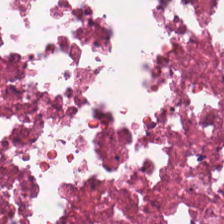Stain: H&E.
Resolution: 20× equivalent magnification.
Preparation: FFPE tissue section.
Tissue type: debris.
